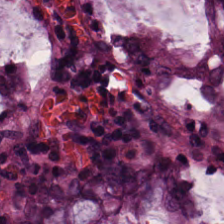H&E stain. 224×224 px tile.
This field is normal colon mucosa.
